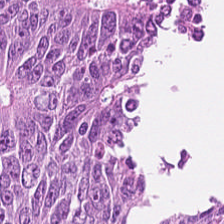Hematoxylin-and-eosin section: colorectal adenocarcinoma epithelium.
